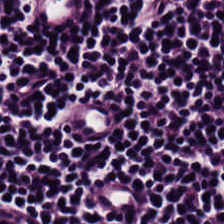FFPE · hematoxylin-and-eosin stained section — The predominant tissue is lymphocyte aggregate.
